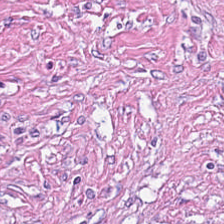0.5 µm per pixel; H&E-stained tissue section.
Tissue type: cancer-associated stroma.
